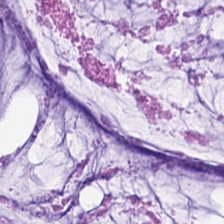Stain: hematoxylin-and-eosin stained section.
Preparation: FFPE tissue section.
Tile size: 224×224 px patch.
Tissue type: mucin.
